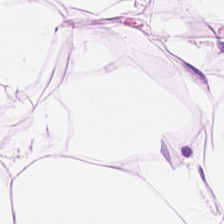Stain: hematoxylin-and-eosin stained section.
Tile size: 224×224 px patch.
Tissue type: adipose.
